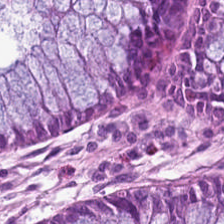Classification: benign colonic mucosa.
